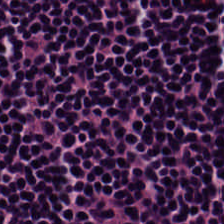H&E.
{"tissue_type": "lymphocytes"}
